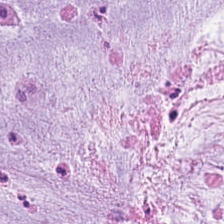Hematoxylin-and-eosin stained section.
The predominant tissue is mucus.
